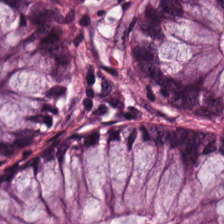Whole-slide-image patch; H&E; FFPE tissue section.
Tissue class: normal colon mucosa.
